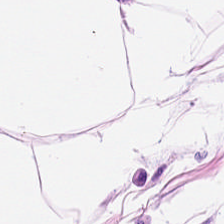H&E stain · 0.5 µm/px.
Predominant tissue = adipocytes.
